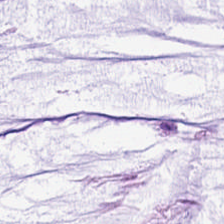Brightfield; H&E.
This field is extracellular mucin.
